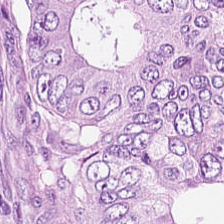H&E — Colorectal adenocarcinoma.
